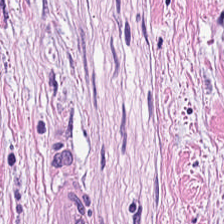Hematoxylin-and-eosin stained section · 224×224 pixel tile. Q: What does this patch show?
A: The field shows tumor stroma.
